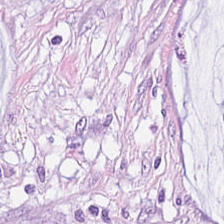Stain: hematoxylin-and-eosin stained section.
Tissue: extracellular mucin.
